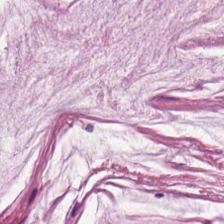The tissue is mucus.
